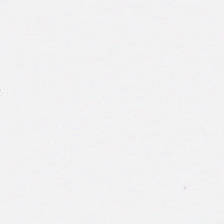Background — no tissue in this field.
